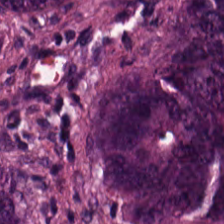H&E. This patch shows tumor epithelium.
